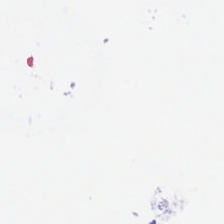Background — no tissue in this field.
